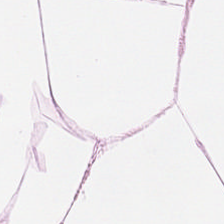0.5 µm per pixel. H&E-stained tissue section — Histology — adipose.
